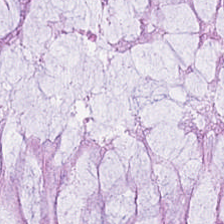{"tissue_type": "normal colon mucosa"}
